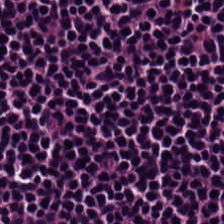Hematoxylin and eosin.
Predominantly lymphocytic infiltrate.
